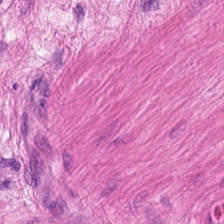H&E. Tissue class = smooth-muscle tissue.
